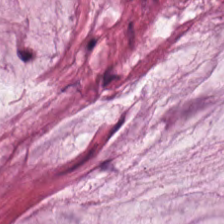FFPE · brightfield · hematoxylin-and-eosin stained section.
Classification = extracellular mucin.
